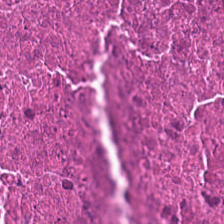Stain: hematoxylin-and-eosin stained section.
Predominant tissue: necrotic debris.
